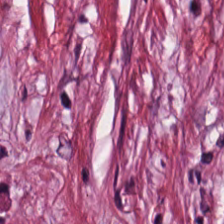Hematoxylin-and-eosin stained section · WSI patch · 0.5 µm/px.
Predominant tissue — tumor stroma.
